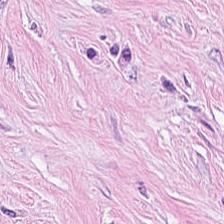Hematoxylin-and-eosin stained section.
The tissue is tumor stroma.
